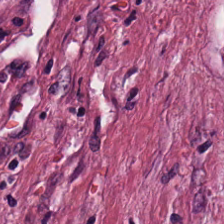Stain: hematoxylin and eosin.
Predominant tissue: tumor stroma.
